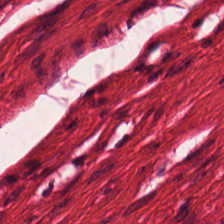H&E-stained tissue section.
The predominant tissue is smooth muscle.
